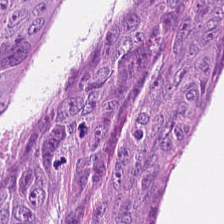H&E; 20× equivalent magnification.
Tissue class = adenocarcinoma.
